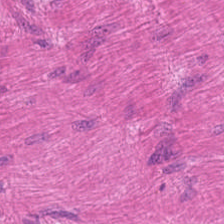H&E stain.
Predominantly muscularis.
